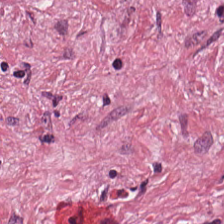H&E stain. Tissue class = tumor stroma.
